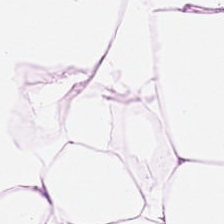H&E.
Predominant tissue: adipose.
